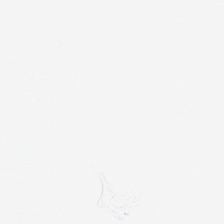H&E stain — Impression — empty background.
